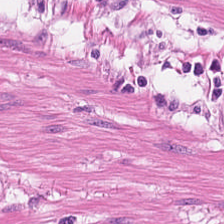H&E. 0.5 µm per pixel — The classification is smooth-muscle tissue.
